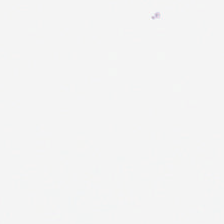Impression — empty background.
